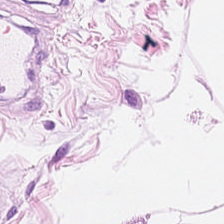0.5 µm per pixel; H&E stain; 224×224 px tile. Q: Classify this patch.
A: Fat tissue.
